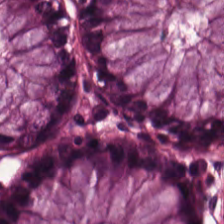H&E. Tissue = benign colonic mucosa.
